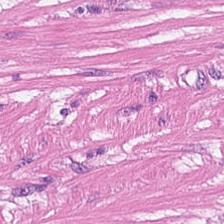H&E.
Q: What tissue is shown?
A: This is smooth muscle.
